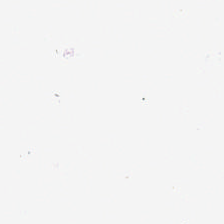H&E stain.
Classification — no tissue.
